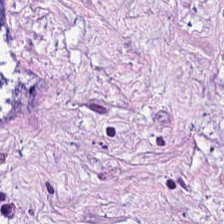H&E-stained tissue section. {"tissue_type": "tumor stroma"}
